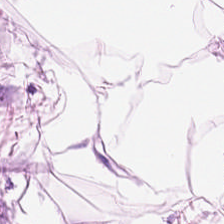Stain: hematoxylin-and-eosin stained section.
Acquisition: whole-slide-image patch.
Classification: adipose tissue.
